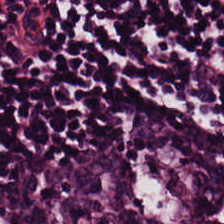Hematoxylin-and-eosin section: lymphocytic infiltrate.
